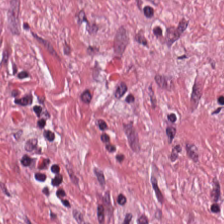224×224 px tile · H&E. Q: Classify this patch.
A: It is tumor-associated stroma.
